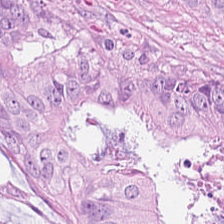Brightfield; H&E.
{"tissue_type": "malignant epithelium"}
